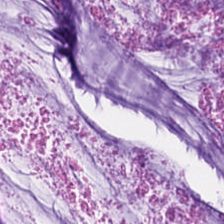Hematoxylin-and-eosin stained section; 224×224 pixel tile — Finding → mucin.
